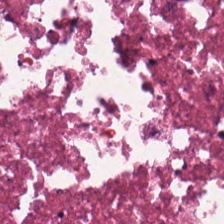WSI patch; H&E stain; 0.5 µm/px.
Finding — debris.
